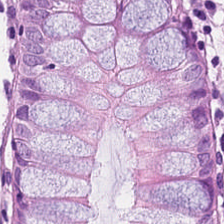Predominant tissue = non-neoplastic colon mucosa.
